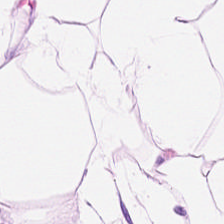Brightfield microscopy. H&E.
Tissue class — fat tissue.
